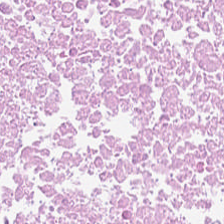224×224 px patch · H&E-stained tissue section · 0.5 µm/px — The tissue here is debris.
